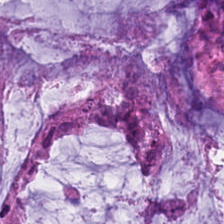0.5 µm/px · H&E · 224×224 px patch. Tissue = extracellular mucin.
